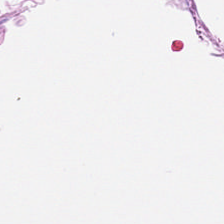H&E-stained tissue section · whole-slide-image patch — Classification = smooth-muscle tissue.
